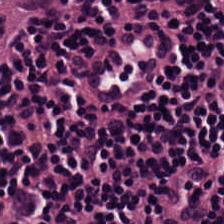Hematoxylin and eosin. The predominant tissue is lymphocytes.
